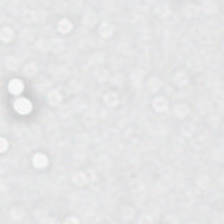Q: What does this patch show?
A: It is background.
